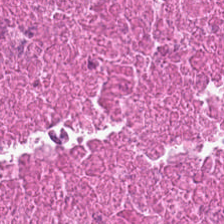H&E-stained tissue section. 224×224 px patch. FFPE tissue section.
{"tissue_type": "debris"}
